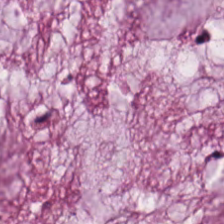224×224 px patch · H&E · whole-slide-image patch.
Predominantly mucus.
